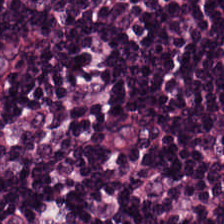Whole-slide-image patch · H&E-stained tissue section. Q: What type of tissue is this?
A: Lymphocytic infiltrate.
